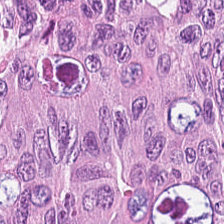H&E stain. The predominant tissue is tumor epithelium.
